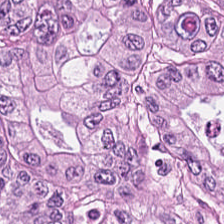Q: What is the predominant tissue type?
A: It is adenocarcinoma.
